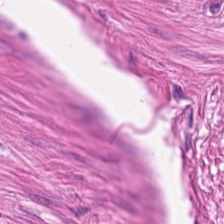H&E stain; 0.5 µm per pixel — Impression — muscularis.
